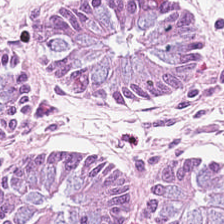Non-neoplastic colon mucosa.
